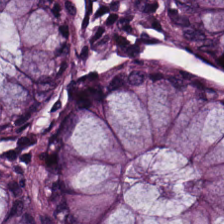Stain: hematoxylin-and-eosin stained section.
Tissue type: normal colon mucosa.
